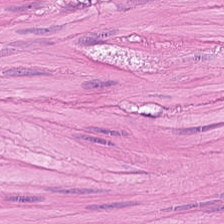Hematoxylin-and-eosin stained section — Smooth-muscle tissue.
